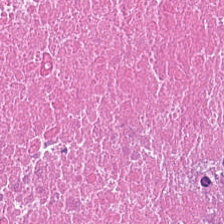Formalin-fixed paraffin-embedded section; 20× equivalent magnification; H&E-stained tissue section — {"tissue_type": "cellular debris"}
